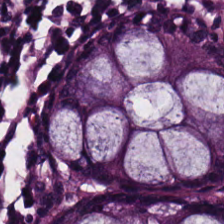Hematoxylin and eosin.
Tissue type = benign colonic mucosa.
